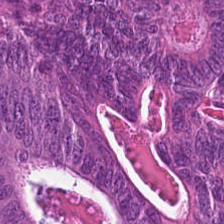Hematoxylin-and-eosin stained section; 224×224 px tile; 0.5 µm/px. Showing adenocarcinoma.
